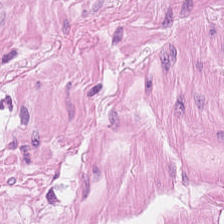This patch shows muscularis.
